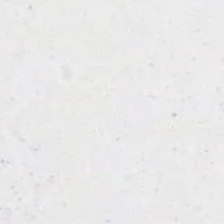H&E-stained tissue section.
Background — no tissue in this field.
